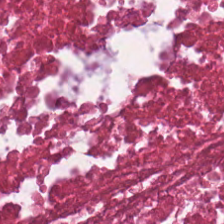0.5 µm/px; 224×224 pixel tile; H&E-stained tissue section.
Q: What is shown here?
A: The field shows debris.
